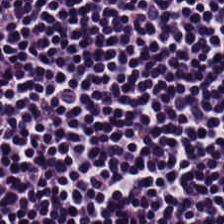H&E — lymphocytic infiltrate.
